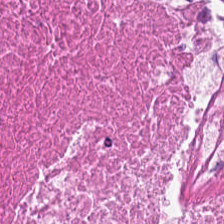H&E patch showing cellular debris.
